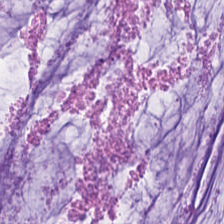Hematoxylin and eosin. Predominant tissue — extracellular mucin.
